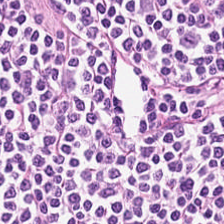Hematoxylin-and-eosin stained section — Predominantly lymphocytes.
